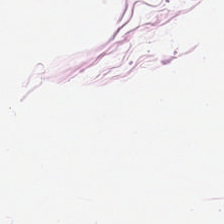Hematoxylin-and-eosin stained section. Adipose.
